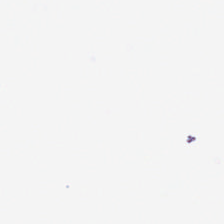Hematoxylin and eosin.
This field is background (no tissue).
